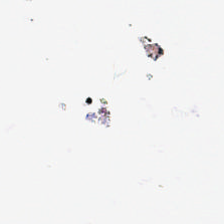H&E. Background — no tissue in this field.
